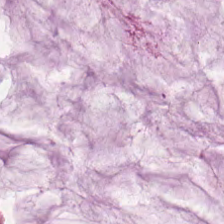Hematoxylin and eosin. 0.5 microns per pixel. 224×224 px tile — The tissue here is mucus.
